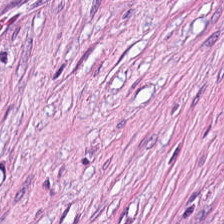Stain: hematoxylin-and-eosin stained section.
Tissue: tumor stroma.
